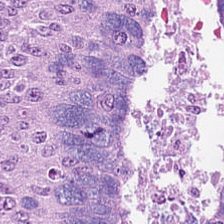H&E. The predominant tissue is colorectal adenocarcinoma epithelium.
